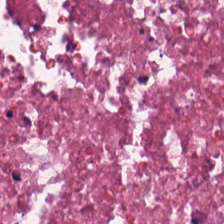Tissue type = debris.
